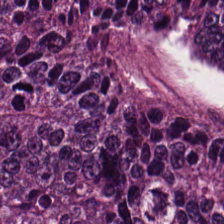0.5 µm/px · WSI patch · hematoxylin-and-eosin stained section — The tissue type is colorectal adenocarcinoma.
